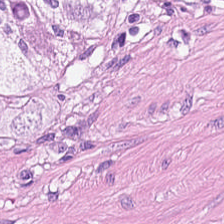{"tissue_type": "smooth muscle"}
